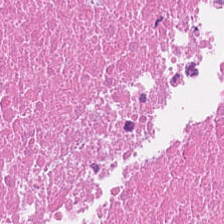Hematoxylin-and-eosin stained section; 224×224 px patch.
Predominantly debris.
